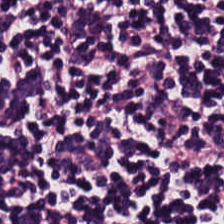Brightfield microscopy. H&E. The predominant tissue is lymphocytes.
